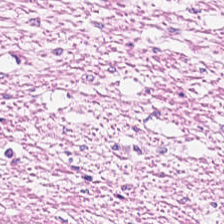FFPE tissue section; 0.5 microns per pixel; H&E. Histology → muscularis.
